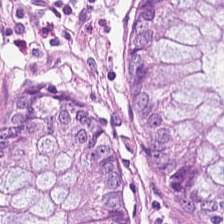Hematoxylin-and-eosin stained section — The tissue type is benign colonic mucosa.
